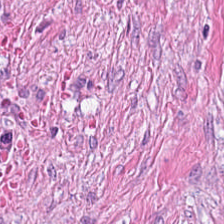H&E. FFPE — Tissue class — cancer-associated stroma.
